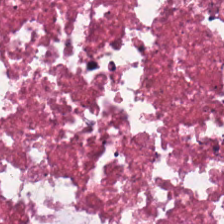H&E stain.
Impression → debris.
